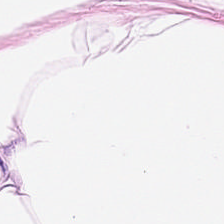0.5 µm/px; H&E stain. Q: What is the predominant tissue type?
A: This is adipose tissue.
